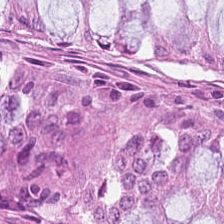H&E stain · formalin-fixed paraffin-embedded section — This field is non-neoplastic colon mucosa.
